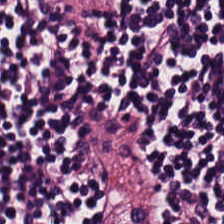Hematoxylin and eosin. Predominantly lymphocytic infiltrate.
